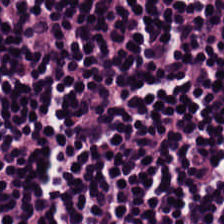Predominant tissue = lymphocytes.
